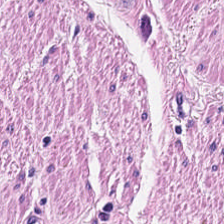Stain: hematoxylin-and-eosin stained section.
Tissue type: smooth muscle.
